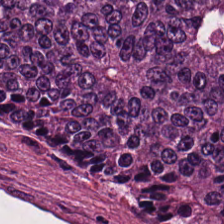Brightfield · hematoxylin and eosin.
Tissue: tumor epithelium.
